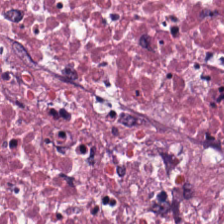The classification is necrotic debris.
